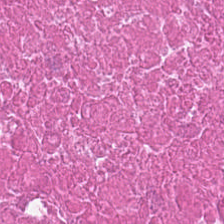H&E-stained tissue section. Classification = necrotic debris.
